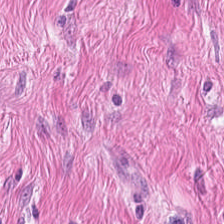H&E stain · formalin-fixed paraffin-embedded section. Predominantly smooth muscle.
